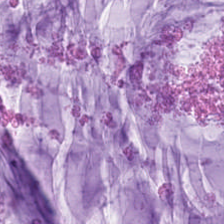H&E stain. 224×224 px tile.
Showing mucus.
